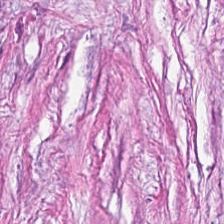Predominant tissue: tumor-associated stroma.
